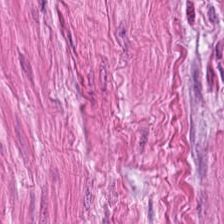H&E stain. The tissue here is smooth muscle.
